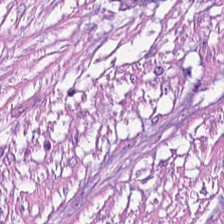Stain: H&E stain.
Acquisition: WSI patch.
Tissue class: cancer-associated stroma.
